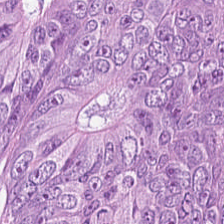H&E-stained tissue section — This patch shows adenocarcinoma.
